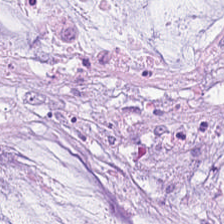Stain: H&E.
Predominant tissue: mucus.
